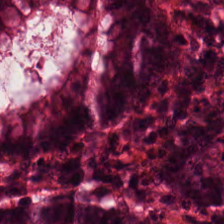H&E stain.
This patch shows normal colon mucosa.
